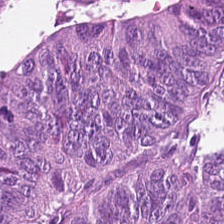H&E. Finding → malignant epithelium.
